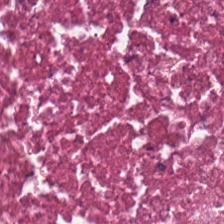Q: What tissue type is shown here?
A: It is debris.
